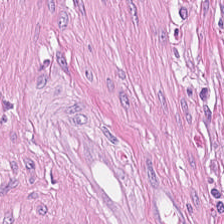224×224 pixel tile · hematoxylin-and-eosin stained section. Predominant tissue — desmoplastic stroma.
